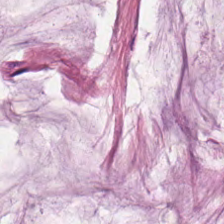224×224 pixel tile · WSI patch · H&E.
The tissue here is mucus.
